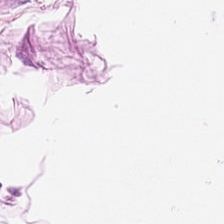Q: What is the predominant tissue type?
A: It is fat tissue.
